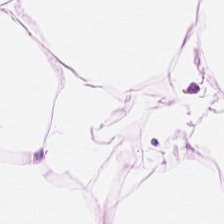Hematoxylin-and-eosin stained section. {"tissue_type": "adipose"}
